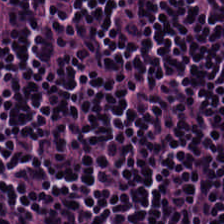H&E.
Impression → lymphocytes.
